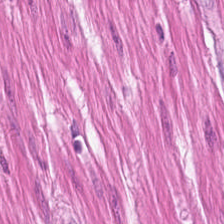Stain: H&E stain.
Tissue: muscularis.
